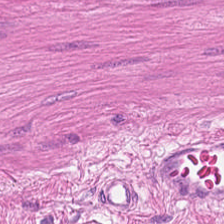Stain: H&E-stained tissue section.
Acquisition: whole-slide-image patch.
Tissue class: muscularis.
